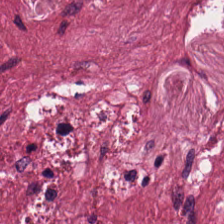H&E. Tissue type = cancer-associated stroma.
